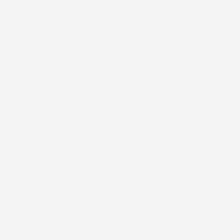Classification = no tissue.
